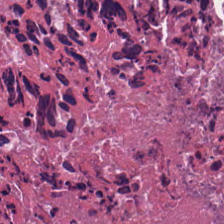Tissue type — necrotic debris.
